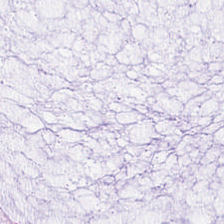Finding — mucin.
